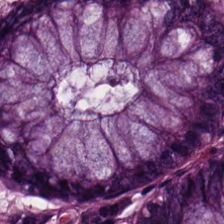Hematoxylin-and-eosin stained section.
Predominantly non-neoplastic colon mucosa.
